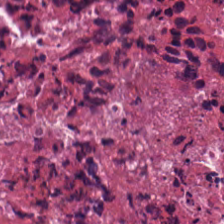H&E. Histology → cellular debris.
